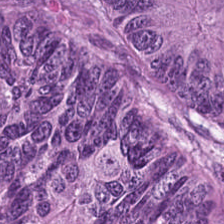H&E-stained tissue section. Tissue class = malignant epithelium.
